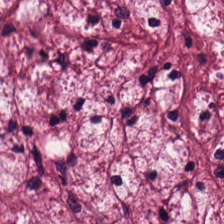H&E stain.
Showing tumor stroma.
